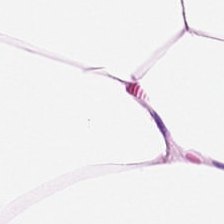H&E.
This patch shows adipose.
